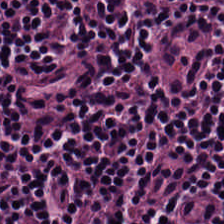H&E.
Tissue type — lymphocyte aggregate.
